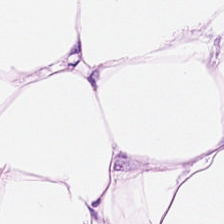Hematoxylin-and-eosin stained section.
Q: What does this patch show?
A: The field shows adipose.
